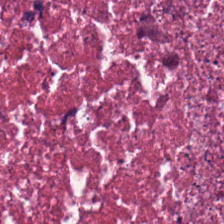H&E stain · FFPE tissue section — This field is cellular debris.
